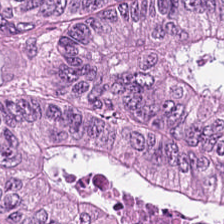Hematoxylin-and-eosin stained section — The predominant tissue is adenocarcinoma.
